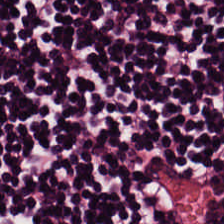Hematoxylin and eosin.
Lymphocyte aggregate.
